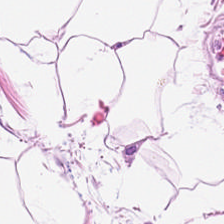H&E-stained section; the field shows fat tissue.
